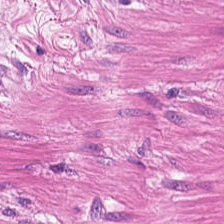H&E-stained tissue section. This field is smooth-muscle tissue.
